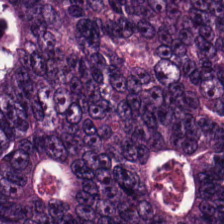Hematoxylin-and-eosin stained section. 0.5 microns per pixel — The tissue here is colorectal adenocarcinoma epithelium.
